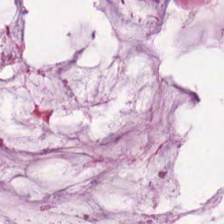Mucus.
